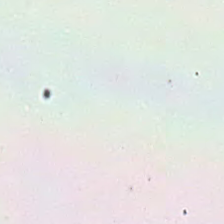H&E stain; brightfield.
Classification: background.
